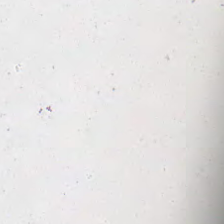Brightfield microscopy. Hematoxylin and eosin.
Impression — empty background.
